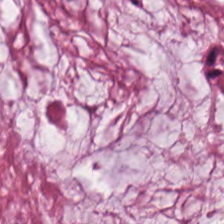H&E stain.
{"tissue_type": "extracellular mucin"}
